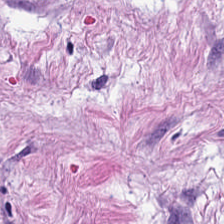Hematoxylin-and-eosin stained section. Finding → tumor-associated stroma.
